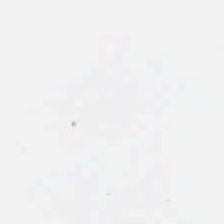H&E-stained tissue section; FFPE.
This field is background (no tissue).
